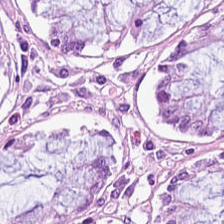20× equivalent magnification. H&E.
Histology → benign colonic mucosa.
